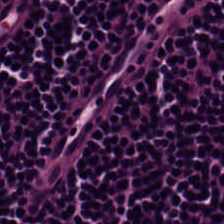{"tissue_type": "lymphocytes"}
